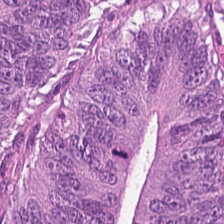0.5 µm/px; H&E-stained tissue section; FFPE.
The tissue here is colorectal adenocarcinoma epithelium.
